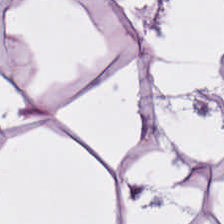Q: What is shown in this field?
A: It is adipocytes.
